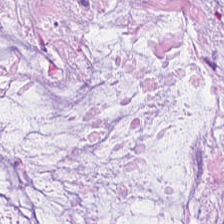Tissue class = mucin.
